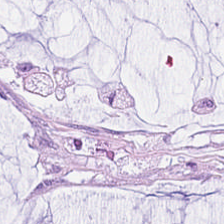H&E-stained tissue section · brightfield — Predominant tissue — extracellular mucin.
